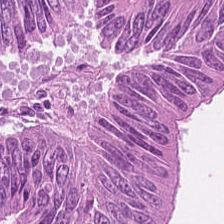Hematoxylin and eosin — {"tissue_type": "malignant epithelium"}
